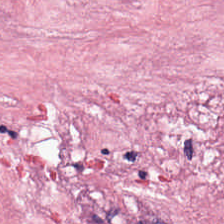Hematoxylin-and-eosin stained section. FFPE. This field is desmoplastic stroma.
